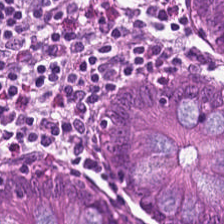WSI patch · H&E stain.
This field is normal colonic mucosa.
